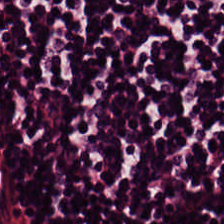Stain: H&E.
Preparation: formalin-fixed paraffin-embedded section.
Resolution: 0.5 microns per pixel.
Tissue type: lymphocytic infiltrate.
